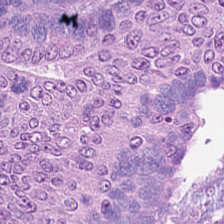The predominant tissue is tumor epithelium.
